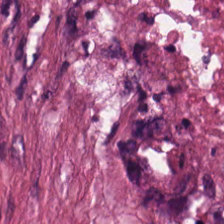H&E stain.
Predominant tissue: debris.
